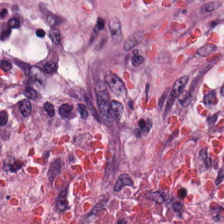224×224 pixel tile; H&E stain — Finding — cellular debris.
